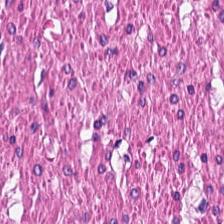H&E. WSI patch.
The predominant tissue is muscularis.
